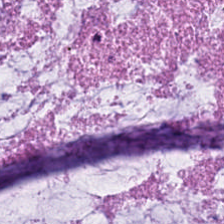H&E-stained tissue section; 0.5 µm per pixel.
The predominant tissue is extracellular mucin.
